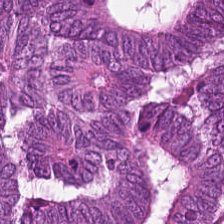{"tissue_type": "colorectal adenocarcinoma epithelium"}
